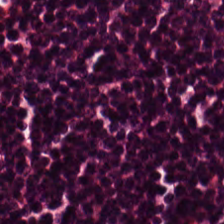Brightfield · 0.5 microns per pixel · H&E-stained tissue section — The tissue here is lymphoid infiltrate.
